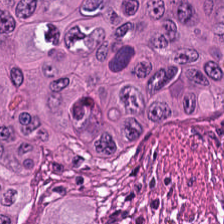224×224 pixel tile · H&E-stained tissue section — This field is tumor epithelium.
